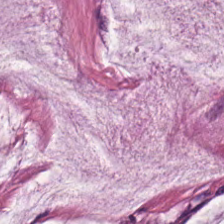Brightfield · H&E stain — The tissue is mucus.
